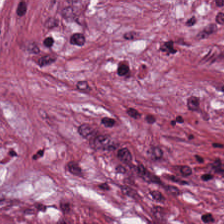Stain: H&E-stained tissue section.
Tissue: tumor stroma.
